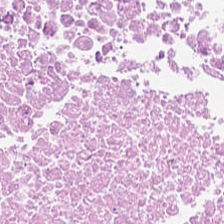Hematoxylin-and-eosin stained section. Q: Identify the tissue.
A: This is cellular debris.
